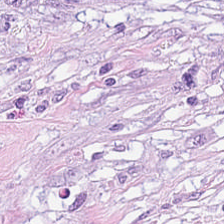H&E stain.
Finding — mucus.
